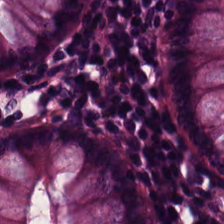Stain: H&E stain.
Tissue: normal colon mucosa.
